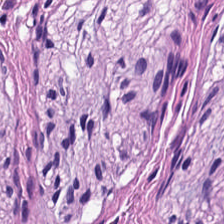Brightfield. 224×224 px tile. H&E-stained tissue section.
Classification — smooth muscle.
